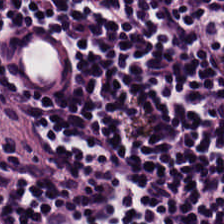H&E-stained tissue section — This patch shows lymphocytes.
